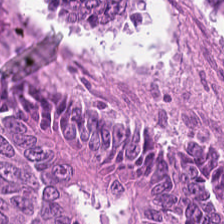This field is colorectal adenocarcinoma.
